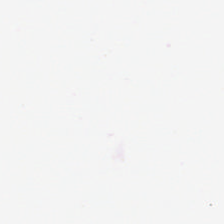Hematoxylin and eosin; FFPE. {"content": "empty background"}
